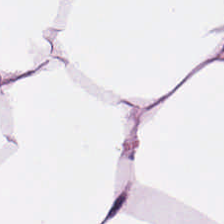H&E-stained tissue section.
The predominant tissue is adipose.
